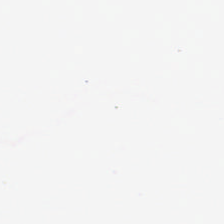Background (no tissue).
